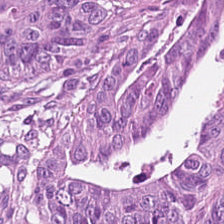Tissue — adenocarcinoma.
